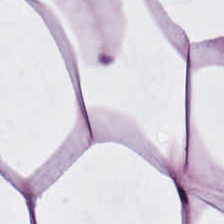Classification: adipose.
